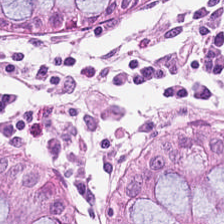FFPE tissue section · H&E — The predominant tissue is non-neoplastic colon mucosa.
